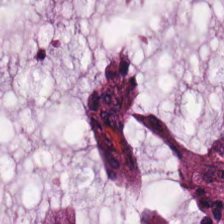H&E patch showing mucin.
